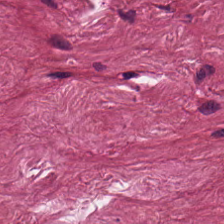H&E stain; 0.5 µm per pixel — {"tissue_type": "cancer-associated stroma"}
